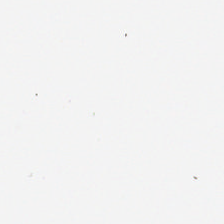Hematoxylin-and-eosin stained section. No tissue present; background only.
